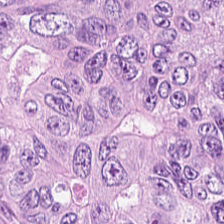Hematoxylin-and-eosin stained section. Tumor epithelium.
